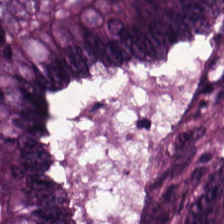Stain: H&E-stained tissue section.
Predominant tissue: malignant epithelium.
